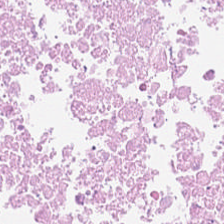0.5 microns per pixel. Hematoxylin-and-eosin stained section.
Showing necrotic debris.
